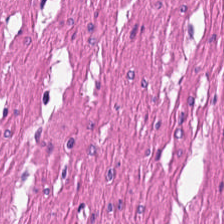H&E. Predominantly muscularis.
